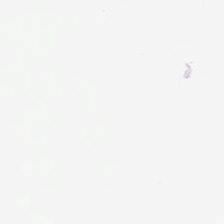H&E — This field is background (no tissue).
